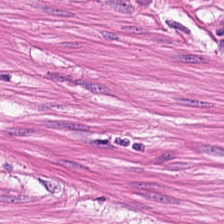Stain: H&E stain.
Acquisition: whole-slide-image patch.
Tissue class: smooth-muscle tissue.
